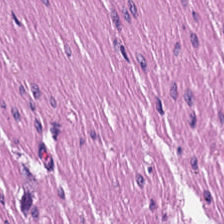H&E-stained tissue section. Impression — muscularis.
